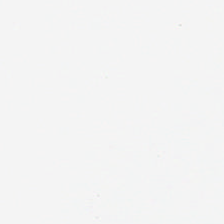Field content: no tissue.
